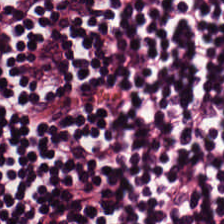Q: Identify the tissue.
A: It is lymphocytes.
